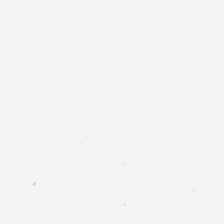Hematoxylin-and-eosin stained section. Finding → background.
